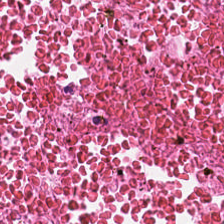Brightfield. H&E.
Finding → cellular debris.
